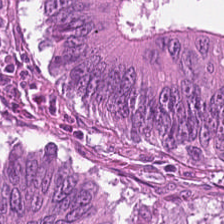Impression — malignant epithelium.
